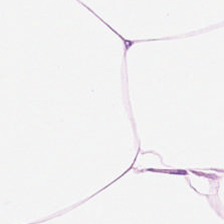Stain: H&E stain.
Preparation: FFPE.
Tile size: 224×224 px patch.
Classification: adipocytes.
